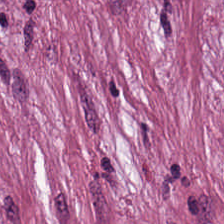H&E · 224×224 pixel tile · WSI patch.
Q: What is shown here?
A: This is cancer-associated stroma.
